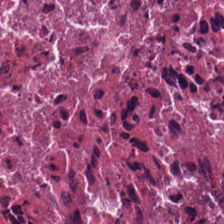H&E — The predominant tissue is cellular debris.
